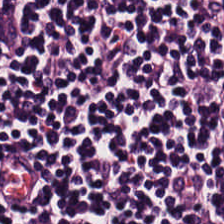Hematoxylin and eosin; formalin-fixed paraffin-embedded section; brightfield. Predominantly lymphocyte aggregate.
